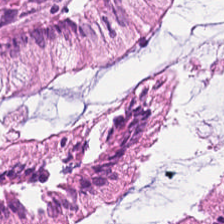Hematoxylin-and-eosin section: normal colon mucosa.
